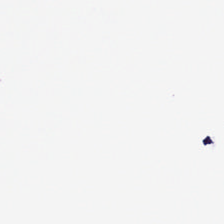H&E.
This patch shows background.
